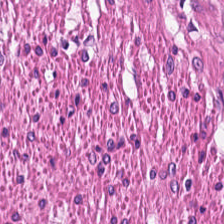H&E-stained tissue section · whole-slide-image patch · formalin-fixed paraffin-embedded section. Impression → smooth-muscle tissue.
